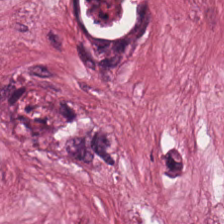Stain: hematoxylin-and-eosin stained section.
Tissue type: cancer-associated stroma.
